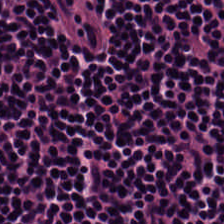224×224 px tile · H&E-stained tissue section. Showing lymphocytes.
